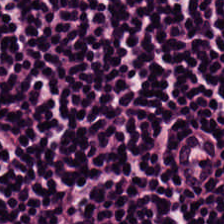224×224 px patch. H&E stain. Tissue class — lymphocytic infiltrate.
